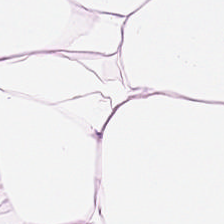FFPE tissue section · H&E stain. Tissue type: adipose.
